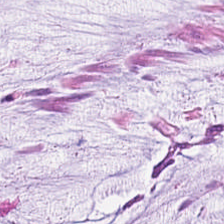Hematoxylin-and-eosin stained section; formalin-fixed paraffin-embedded section. Showing extracellular mucin.
